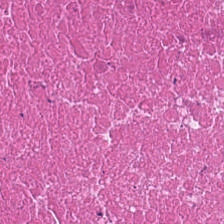Hematoxylin and eosin — Debris.
